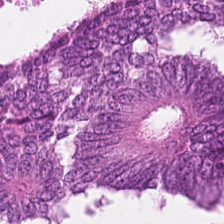Showing adenocarcinoma.
